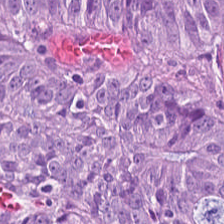H&E-stained tissue section. The tissue here is adenocarcinoma.
